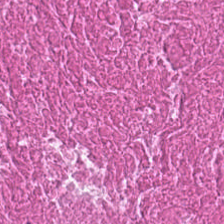Hematoxylin-and-eosin stained section — Tissue class: necrotic debris.
